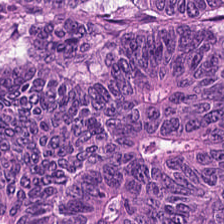{"tissue_type": "colorectal adenocarcinoma epithelium"}
